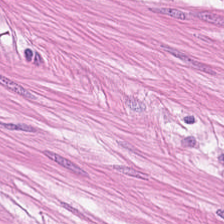H&E stain — The predominant tissue is muscularis.
